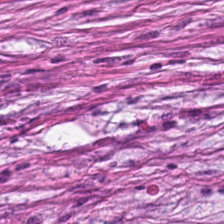Formalin-fixed paraffin-embedded section; H&E.
Q: What does this patch show?
A: The field shows tumor stroma.
